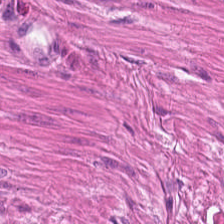Hematoxylin-and-eosin stained section. Q: What is shown in this field?
A: Smooth muscle.
